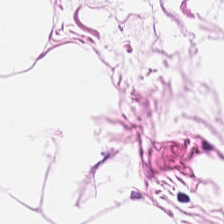Q: What does this patch show?
A: It is adipose.
